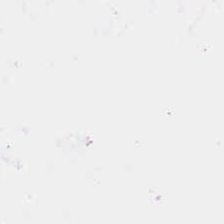Stain: H&E-stained tissue section.
Content: empty background.
